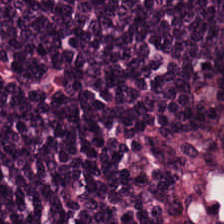Hematoxylin and eosin — Q: Identify the tissue.
A: The field shows lymphocytes.
